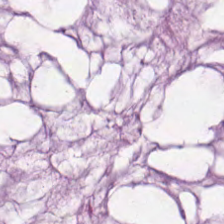The classification is extracellular mucin.
